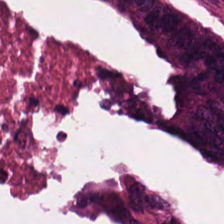The tissue here is colorectal adenocarcinoma epithelium.
